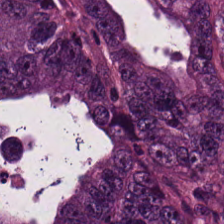Stain: hematoxylin-and-eosin stained section.
Tissue type: colorectal adenocarcinoma epithelium.
